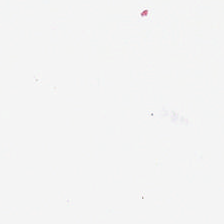20× equivalent magnification · 224×224 px tile · hematoxylin-and-eosin stained section.
Classification = background.
